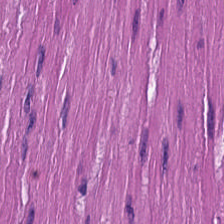Hematoxylin and eosin. Brightfield microscopy — The tissue class is smooth-muscle tissue.
